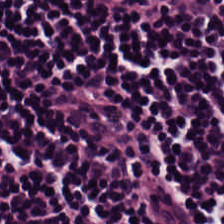FFPE. H&E stain. WSI patch.
{"tissue_type": "lymphocytes"}
